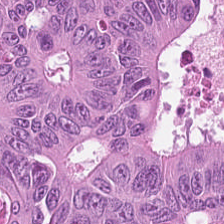H&E-stained tissue section.
The predominant tissue is colorectal adenocarcinoma.
